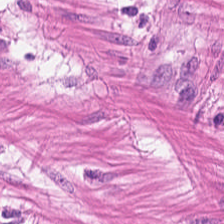Stain: hematoxylin and eosin.
Predominant tissue: smooth-muscle tissue.
